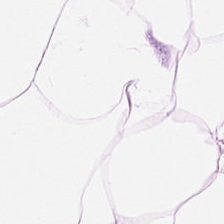H&E-stained tissue section. Predominantly adipose.
